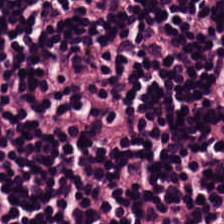{"tissue_type": "lymphoid infiltrate"}
